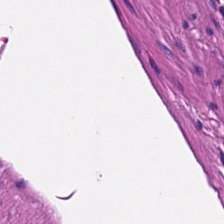H&E — Tissue = smooth muscle.
